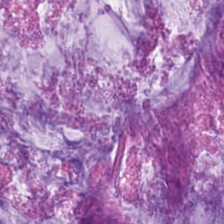Q: What is shown in this field?
A: Mucus.
